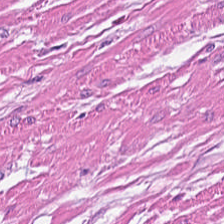Hematoxylin and eosin.
Predominantly smooth muscle.
